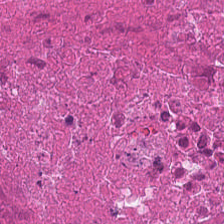Stain: hematoxylin and eosin.
Classification: necrotic debris.
